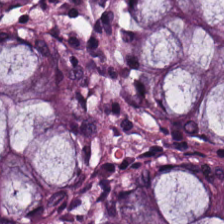0.5 µm/px. H&E stain.
This field is non-neoplastic colon mucosa.
